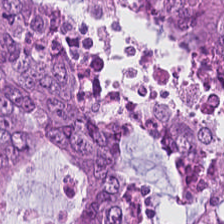Hematoxylin-and-eosin stained section · 20× equivalent magnification.
Q: What is the predominant tissue type?
A: Adenocarcinoma.
